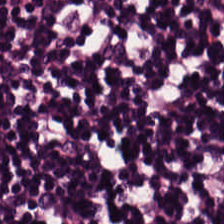20× equivalent magnification; H&E stain. Predominantly lymphocytic infiltrate.
